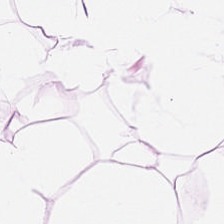H&E. Brightfield microscopy.
Tissue: adipocytes.
